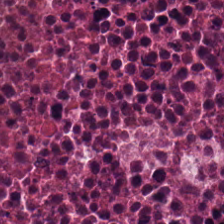FFPE; 224×224 px patch; H&E stain.
Debris.
